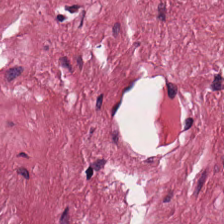FFPE tissue section · 20× equivalent magnification · H&E — Classification: desmoplastic stroma.
